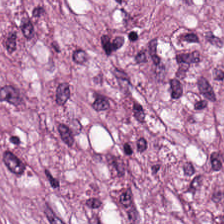Hematoxylin and eosin; WSI patch — Predominantly tumor stroma.
